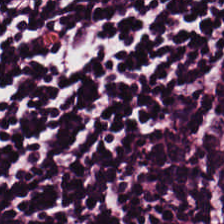Formalin-fixed paraffin-embedded section · H&E-stained tissue section. The tissue type is lymphocyte aggregate.
